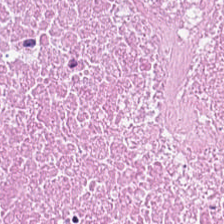Hematoxylin-and-eosin section: debris.
